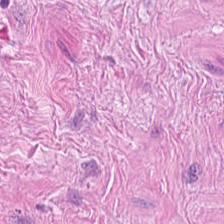The predominant tissue is muscularis.
